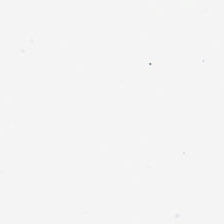H&E.
Q: What does this patch show?
A: The field shows no tissue.
